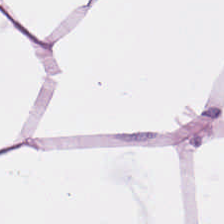Tissue class: fat tissue.
